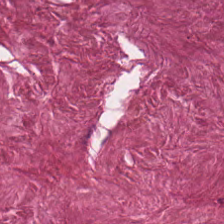Hematoxylin and eosin — Tissue: cancer-associated stroma.
